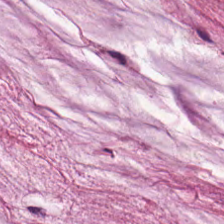H&E · 224×224 px patch. Finding — mucin.
